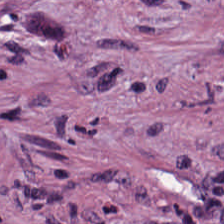H&E — Cancer-associated stroma.
